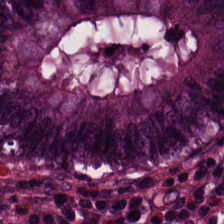FFPE; hematoxylin-and-eosin stained section — Q: Classify this patch.
A: This is normal colonic mucosa.
